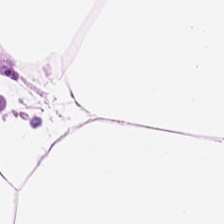Formalin-fixed paraffin-embedded section · hematoxylin and eosin. The predominant tissue is adipose.
